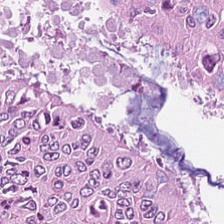0.5 microns per pixel · H&E · FFPE tissue section — Adenocarcinoma.
